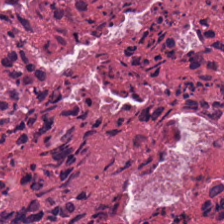Histology — debris.
